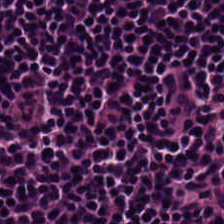Hematoxylin-and-eosin stained section. 0.5 µm per pixel. Formalin-fixed paraffin-embedded section — Tissue type: lymphocytes.
